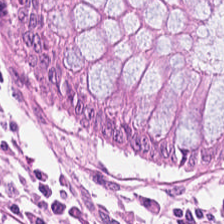Whole-slide-image patch · H&E-stained tissue section. Normal colon mucosa.
